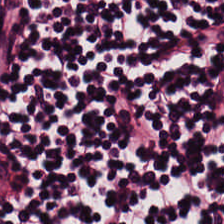Impression → lymphocytic infiltrate.
